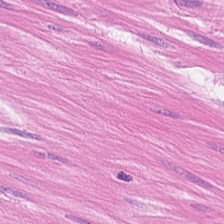Q: What type of tissue is this?
A: The field shows muscularis.
